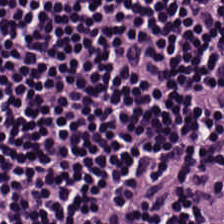Stain: H&E stain.
Tissue: lymphoid infiltrate.
